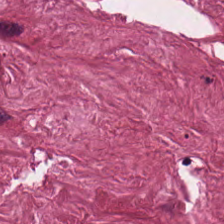Q: Identify the tissue.
A: The field shows tumor stroma.
